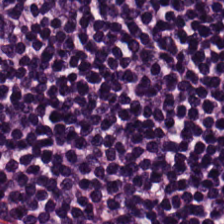Stain: H&E-stained tissue section.
Tissue type: lymphocyte aggregate.
